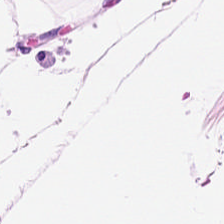Q: What type of tissue is this?
A: Fat tissue.
